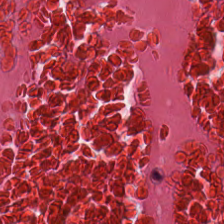FFPE tissue section; 0.5 µm/px; hematoxylin-and-eosin stained section. Classification: cellular debris.
